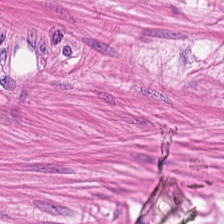Stain: H&E stain.
Tissue class: muscularis.
